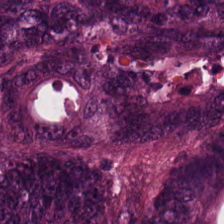Hematoxylin and eosin.
The predominant tissue is malignant epithelium.
